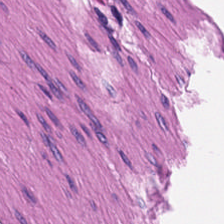20× equivalent magnification; hematoxylin and eosin. Predominant tissue: smooth muscle.
